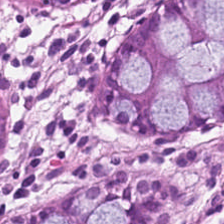H&E stain — Predominantly benign colonic mucosa.
